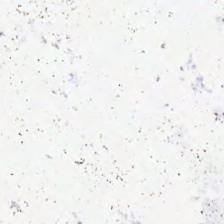{"content": "background (no tissue)"}
